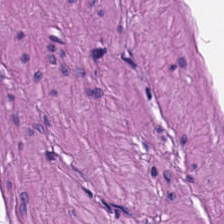Brightfield; hematoxylin and eosin; 0.5 µm per pixel.
Showing smooth-muscle tissue.
